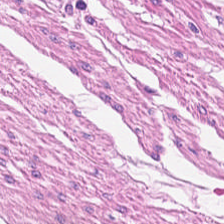Q: What is shown in this field?
A: It is smooth-muscle tissue.
